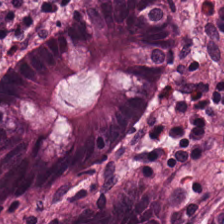224×224 px patch. Hematoxylin-and-eosin stained section. Histology → normal colonic mucosa.
